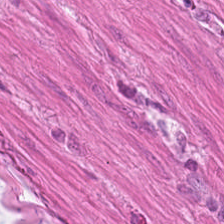H&E-stained tissue section · 0.5 µm per pixel. This patch shows smooth muscle.
